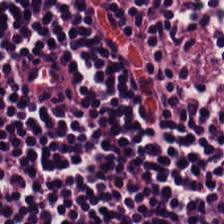H&E-stained tissue section; 224×224 px patch — Q: What is shown in this field?
A: Lymphocytes.
